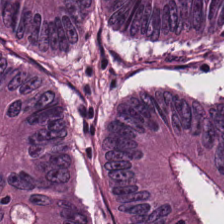H&E-stained tissue section showing tumor epithelium.
